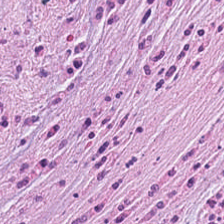FFPE tissue section. Hematoxylin-and-eosin stained section. 20× equivalent magnification.
Predominant tissue = tumor stroma.
